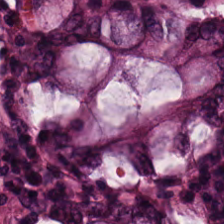Hematoxylin and eosin. Q: What tissue is shown?
A: The field shows normal colon mucosa.
